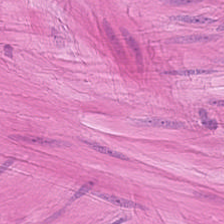H&E patch showing muscularis.
